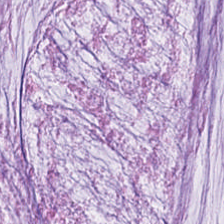Brightfield microscopy · H&E-stained tissue section.
Tissue type — extracellular mucin.
